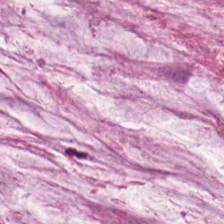H&E.
Tissue = mucus.
